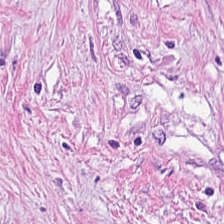H&E stain.
Histology — cancer-associated stroma.
